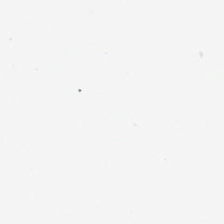Hematoxylin and eosin.
{"content": "empty background"}
